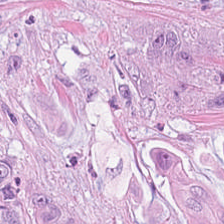224×224 pixel tile; hematoxylin-and-eosin stained section. Tissue type — malignant epithelium.
